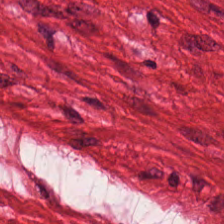H&E stain. FFPE tissue section.
Smooth-muscle tissue.
